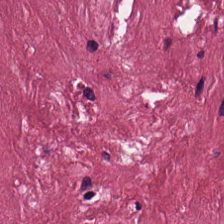Hematoxylin-and-eosin stained section.
Tissue: tumor stroma.
